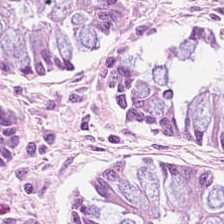Hematoxylin-and-eosin stained section — Q: What is the predominant tissue type?
A: It is normal colon mucosa.
